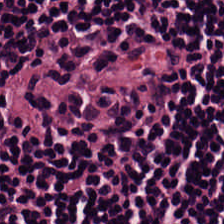Stain: H&E.
Predominant tissue: lymphocyte aggregate.
